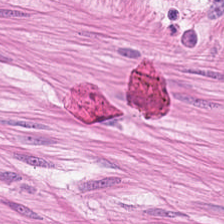Stain: hematoxylin-and-eosin stained section.
Tissue class: smooth muscle.
